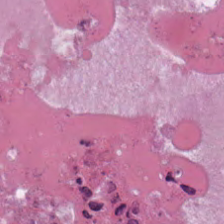Hematoxylin and eosin. Predominant tissue — debris.
